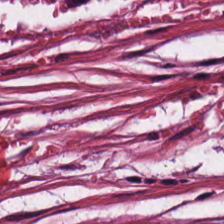20× equivalent magnification; whole-slide-image patch; hematoxylin-and-eosin stained section — Showing desmoplastic stroma.
